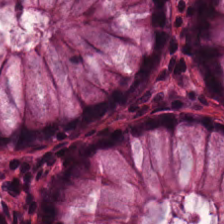Showing normal colon mucosa.
